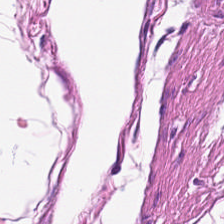Tissue = smooth muscle.
